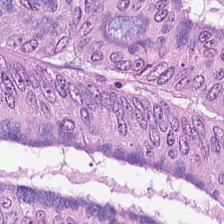{"tissue_type": "adenocarcinoma"}
